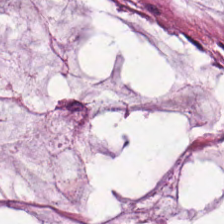Predominantly extracellular mucin.
